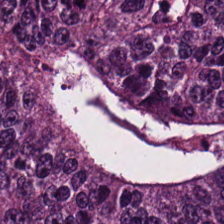Histology — colorectal adenocarcinoma.
